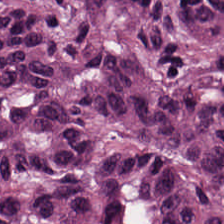Q: Identify the tissue.
A: Tumor epithelium.
